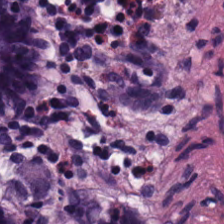H&E stain; 0.5 µm per pixel; 224×224 pixel tile.
The classification is benign colonic mucosa.
